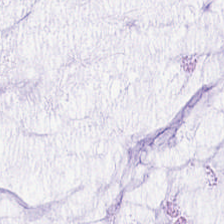Stain: hematoxylin-and-eosin stained section.
Tissue type: mucin.
